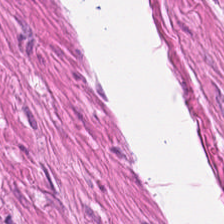Hematoxylin and eosin.
Finding → smooth muscle.
